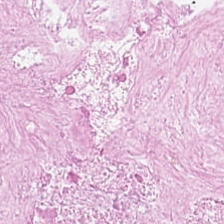H&E-stained tissue section; whole-slide-image patch; 224×224 px patch — Q: What tissue is shown?
A: It is necrotic debris.
